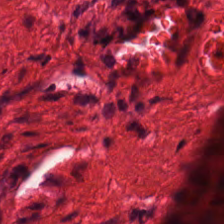The tissue type is smooth muscle.
